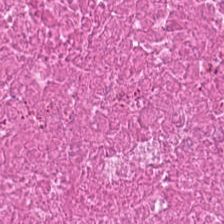WSI patch · 224×224 pixel tile · hematoxylin-and-eosin stained section — Predominant tissue — debris.
